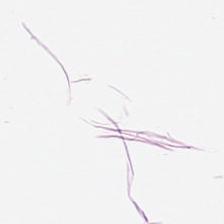H&E-stained tissue section. Predominantly adipocytes.
